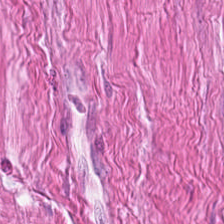Q: What does this patch show?
A: It is smooth-muscle tissue.
